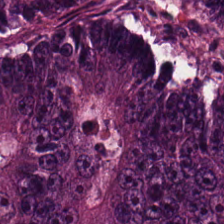Stain: hematoxylin and eosin.
Tissue type: colorectal adenocarcinoma epithelium.
